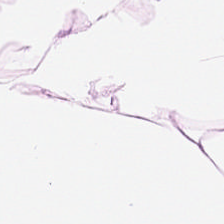This field is adipocytes.
